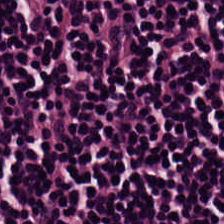H&E-stained tissue section. Q: What tissue is shown?
A: The field shows lymphoid infiltrate.
